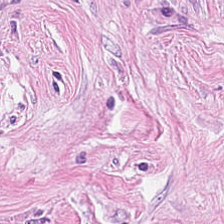Hematoxylin and eosin · 20× equivalent magnification. Classification: desmoplastic stroma.
